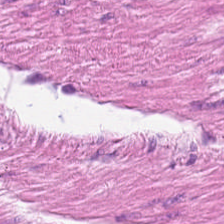224×224 px patch; hematoxylin-and-eosin stained section; whole-slide-image patch. Q: Identify the tissue.
A: The field shows smooth-muscle tissue.
